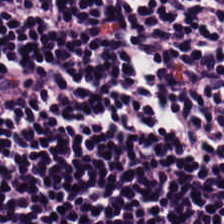Tissue — lymphocytes.
